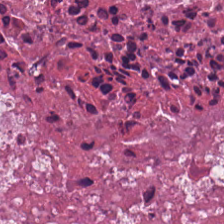Stain: hematoxylin-and-eosin stained section.
Resolution: 0.5 microns per pixel.
Preparation: FFPE tissue section.
Tissue class: debris.
